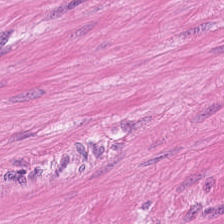H&E stain — Tissue — smooth muscle.
